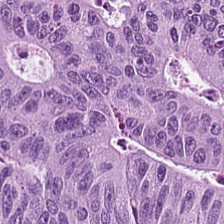Q: Classify this patch.
A: This is adenocarcinoma.
